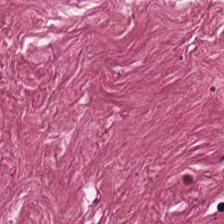H&E-stained tissue section — The predominant tissue is tumor stroma.
